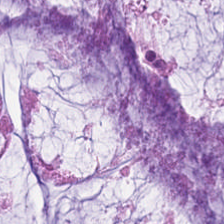H&E stain. Impression → mucin.
